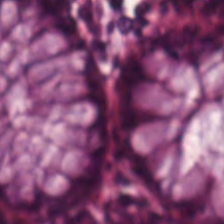Tissue = normal colonic mucosa.
